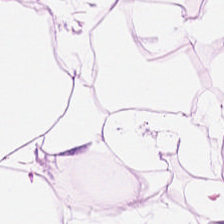H&E.
Fat tissue.
